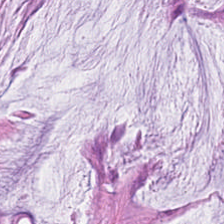The predominant tissue is mucin.
